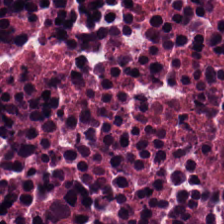Stain: H&E.
Tissue type: necrotic debris.
